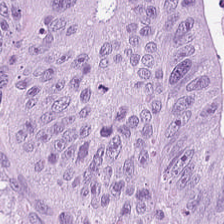This field is adenocarcinoma.
